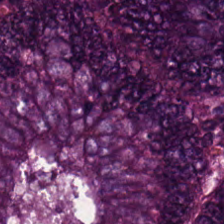{"tissue_type": "malignant epithelium"}
